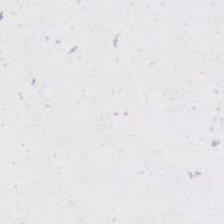Formalin-fixed paraffin-embedded section; H&E-stained tissue section — Content — empty background.
